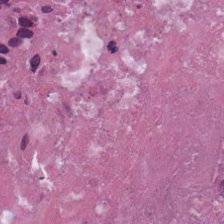H&E stain; whole-slide-image patch; FFPE.
Q: Identify the tissue.
A: It is necrotic debris.
